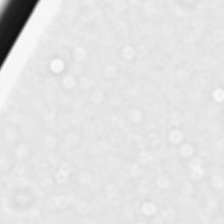20× equivalent magnification · H&E stain.
Content: empty background.
